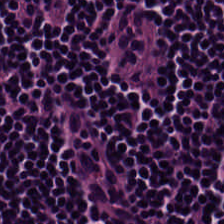Stain: H&E stain.
Predominant tissue: lymphocytes.
